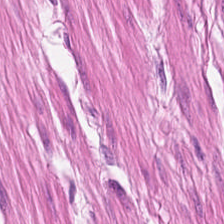The tissue class is smooth muscle.
